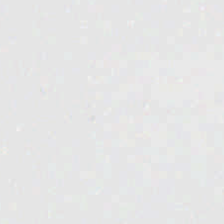H&E stain. This field is background (no tissue).
